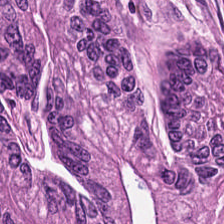H&E stain.
Histology — malignant epithelium.
